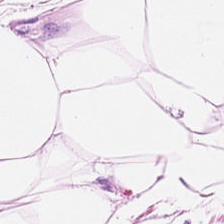Stain: H&E stain.
Tissue type: adipose tissue.
